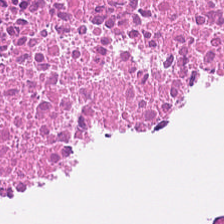{"tissue_type": "cellular debris"}
